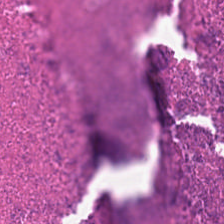H&E-stained tissue section; whole-slide-image patch; 224×224 px patch. {"tissue_type": "cellular debris"}
